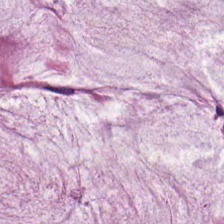FFPE tissue section; 0.5 microns per pixel; H&E. Showing mucin.
